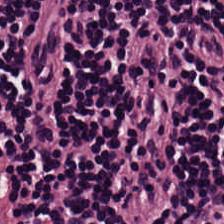H&E; 224×224 px patch. This field is lymphocytic infiltrate.
